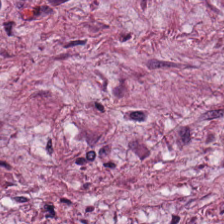224×224 pixel tile. H&E. Tissue class — desmoplastic stroma.
